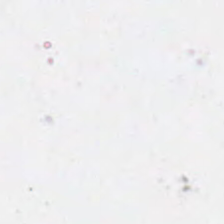Whole-slide-image patch. Hematoxylin-and-eosin stained section.
This field is background (no tissue).
